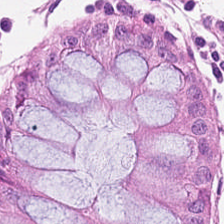Stain: hematoxylin-and-eosin stained section.
Tile size: 224×224 px patch.
Preparation: FFPE tissue section.
Tissue: normal colonic mucosa.
